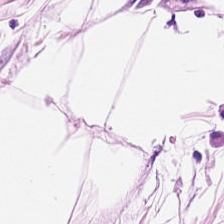Hematoxylin-and-eosin stained section; FFPE tissue section — Tissue: adipose tissue.
